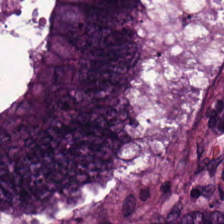Adenocarcinoma.
